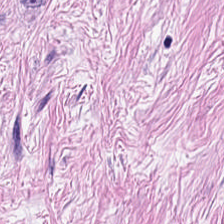H&E-stained tissue section. The predominant tissue is desmoplastic stroma.
